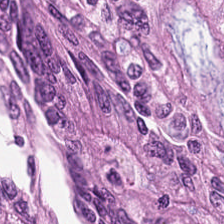Stain: H&E stain.
Acquisition: whole-slide-image patch.
Predominant tissue: adenocarcinoma.
